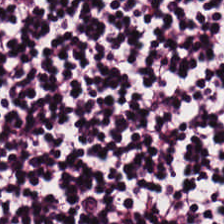H&E-stained tissue section. The predominant tissue is lymphocyte aggregate.
